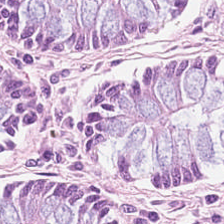Hematoxylin-and-eosin stained section · 0.5 microns per pixel · FFPE. The tissue here is normal colon mucosa.
